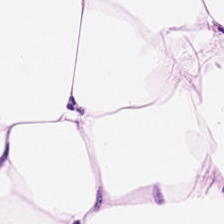Q: What does this patch show?
A: Adipose tissue.
